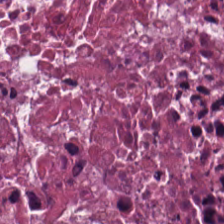Stain: hematoxylin-and-eosin stained section.
Tissue: necrotic debris.
